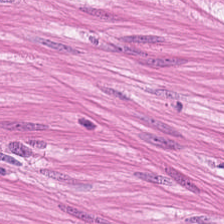Hematoxylin and eosin — Classification = muscularis.
